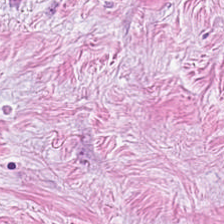Q: What type of tissue is this?
A: Desmoplastic stroma.
